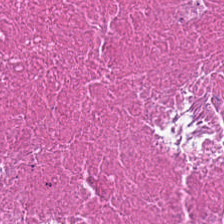Hematoxylin-and-eosin stained section — Q: What is shown here?
A: Necrotic debris.
